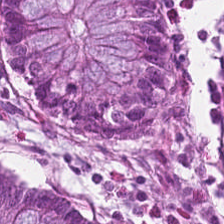224×224 px tile. 0.5 microns per pixel. H&E-stained tissue section.
Finding → normal colonic mucosa.
